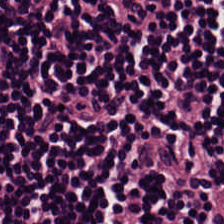H&E-stained tissue section. 224×224 px patch.
Predominantly lymphocyte aggregate.
